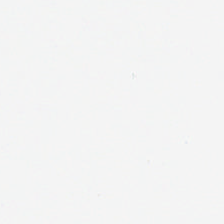H&E stain. No tissue present; background only.
